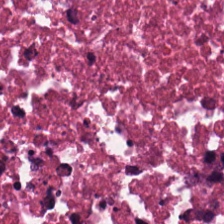Hematoxylin and eosin — The tissue type is debris.
